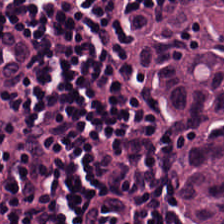Hematoxylin-and-eosin section: lymphoid infiltrate.
